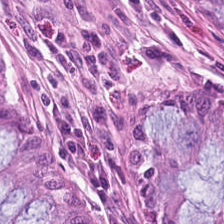Stain: hematoxylin and eosin.
Tissue: normal colon mucosa.
